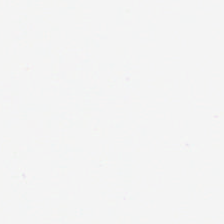0.5 microns per pixel; hematoxylin-and-eosin stained section.
No tissue present; background only.
